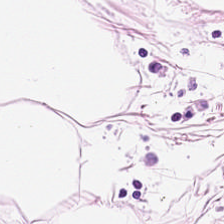Hematoxylin and eosin. Q: What does this patch show?
A: Fat tissue.
